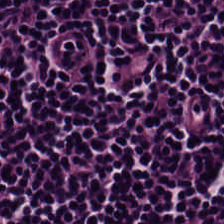H&E-stained tissue section; 224×224 px patch.
Predominant tissue: lymphocytes.
